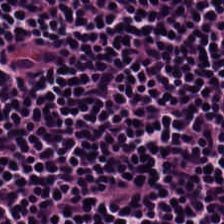Tissue type = lymphocytic infiltrate.
